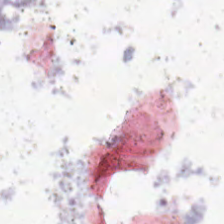Brightfield · hematoxylin-and-eosin stained section. Empty field — background (no tissue).
